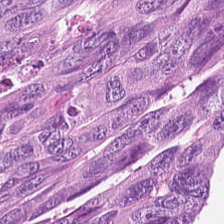The tissue is colorectal adenocarcinoma.
